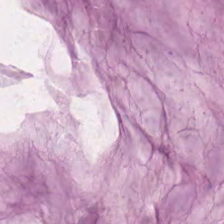0.5 µm/px; H&E stain; WSI patch. The tissue here is mucin.
